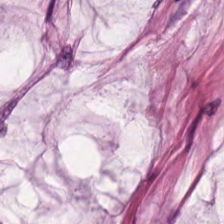Hematoxylin and eosin.
Classification — extracellular mucin.
